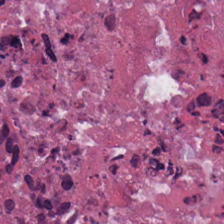H&E-stained tissue section.
The predominant tissue is necrotic debris.
